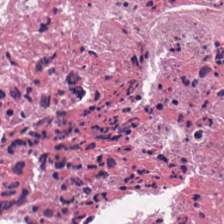Stain: H&E-stained tissue section.
Tissue class: necrotic debris.
